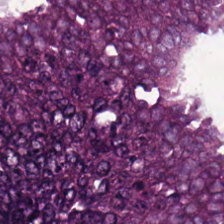{"tissue_type": "colorectal adenocarcinoma epithelium"}
